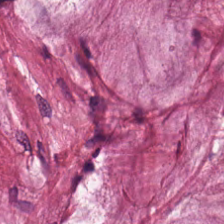H&E-stained tissue section — Showing mucin.
